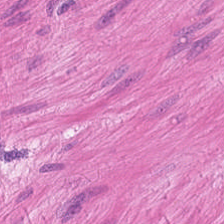H&E; 0.5 µm per pixel.
The tissue here is smooth muscle.
